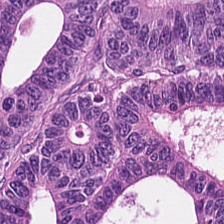H&E stain. Q: Classify this patch.
A: It is colorectal adenocarcinoma.
